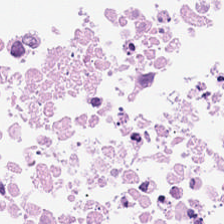Hematoxylin and eosin; 0.5 microns per pixel; 224×224 px patch. This field is cellular debris.
